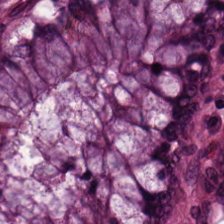H&E-stained tissue section. 224×224 pixel tile. 0.5 µm/px — Q: What type of tissue is this?
A: This is normal colon mucosa.
